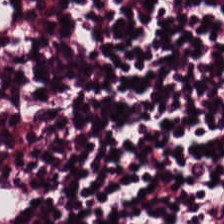Hematoxylin and eosin; FFPE. Finding — lymphoid infiltrate.
